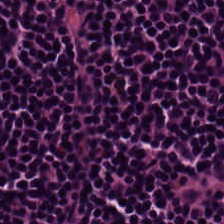The tissue is lymphocyte aggregate.
